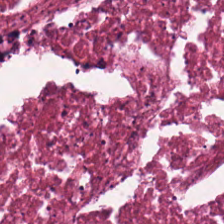Hematoxylin-and-eosin stained section.
Predominant tissue — debris.
